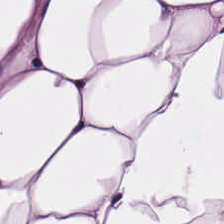Hematoxylin and eosin — Q: What is shown here?
A: It is adipose.
